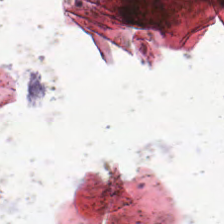Field content — no tissue.
